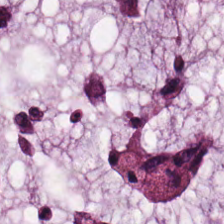The tissue here is mucus.
